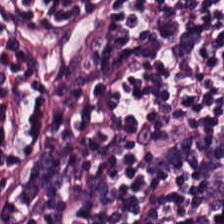0.5 microns per pixel · hematoxylin and eosin — Showing lymphocytes.
